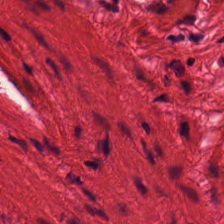H&E-stained tissue section — Tissue type — muscularis.
